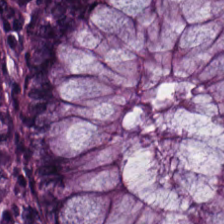Classification = non-neoplastic colon mucosa.
